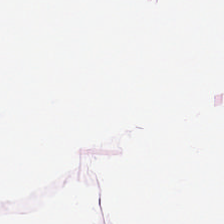0.5 microns per pixel; hematoxylin-and-eosin stained section; 224×224 px tile. Tissue type — adipose.
